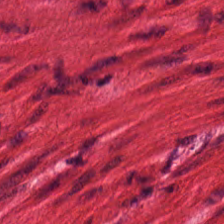H&E stain — Q: What does this patch show?
A: This is smooth-muscle tissue.
